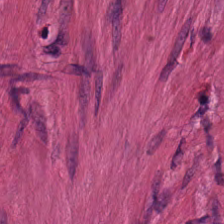H&E stain.
Finding — smooth-muscle tissue.
